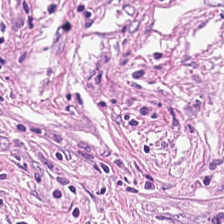Hematoxylin and eosin · brightfield microscopy. Showing desmoplastic stroma.
